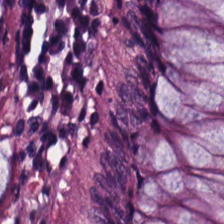Tissue type: benign colonic mucosa.
